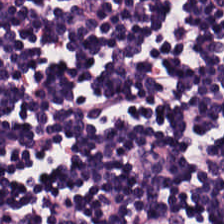H&E stain · 224×224 pixel tile.
Predominantly lymphocytic infiltrate.
